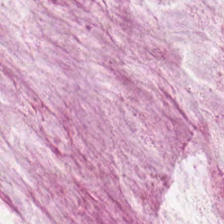The classification is mucin.
